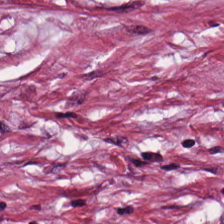Showing cancer-associated stroma.
